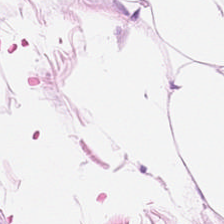Brightfield microscopy · hematoxylin and eosin · 0.5 microns per pixel. Finding → fat tissue.
